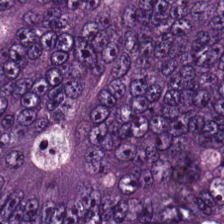224×224 pixel tile · FFPE tissue section · hematoxylin and eosin. Impression — malignant epithelium.
